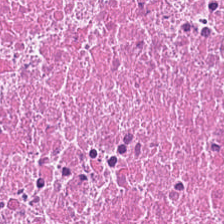H&E-stained tissue section. Finding — necrotic debris.
